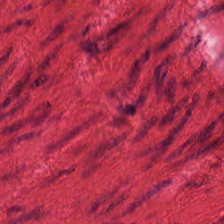Hematoxylin and eosin. The tissue type is muscularis.
